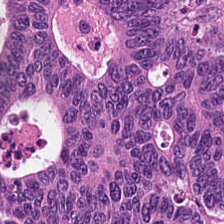Q: Classify this patch.
A: This is tumor epithelium.
